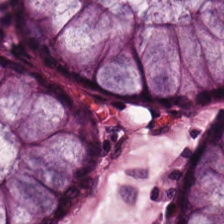FFPE. H&E. 0.5 µm per pixel — Normal colonic mucosa.
